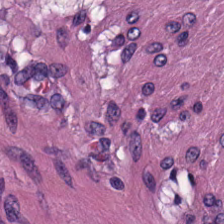H&E. Predominant tissue — muscularis.
